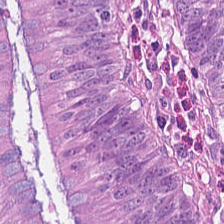Showing colorectal adenocarcinoma epithelium.
